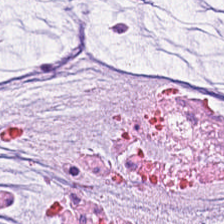Stain: H&E.
Acquisition: whole-slide-image patch.
Classification: mucus.
